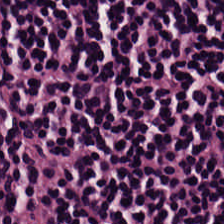0.5 µm per pixel; brightfield microscopy; H&E stain.
Predominant tissue — lymphoid infiltrate.
